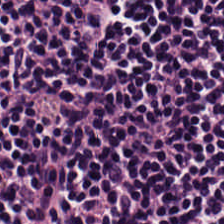Hematoxylin-and-eosin stained section. Formalin-fixed paraffin-embedded section — Impression → lymphocyte aggregate.
